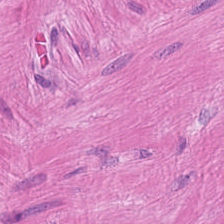FFPE; H&E — Predominantly smooth-muscle tissue.
